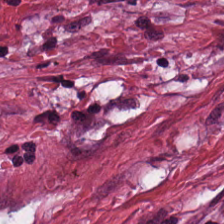H&E — The classification is tumor stroma.
